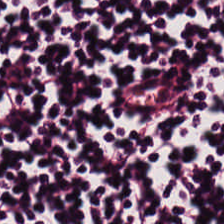FFPE tissue section; 224×224 px tile; H&E — Tissue — lymphocyte aggregate.
